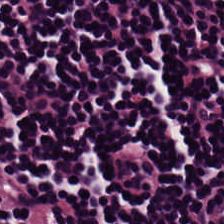FFPE tissue section. 224×224 pixel tile. H&E stain — Predominantly lymphocytes.
